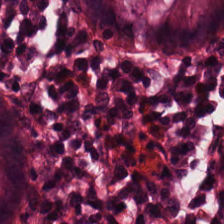H&E patch showing normal colon mucosa.
